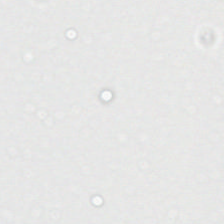Stain: H&E stain.
Content: empty background.
